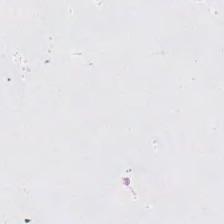H&E. No tissue present; background only.
